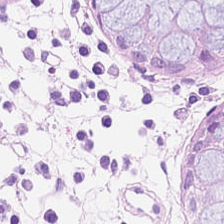H&E patch showing normal colonic mucosa.
